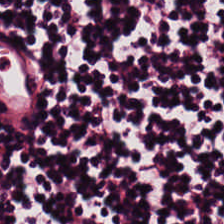Q: Identify the tissue.
A: Lymphoid infiltrate.
